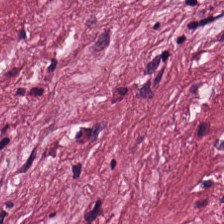Q: What type of tissue is this?
A: It is desmoplastic stroma.
